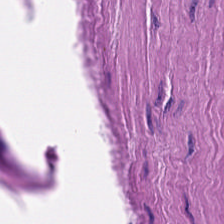Q: Identify the tissue.
A: Smooth muscle.
